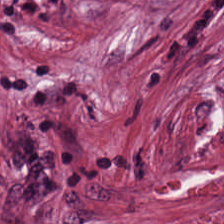Tissue class — tumor-associated stroma.
